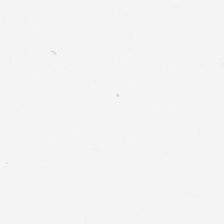H&E — The field content is background (no tissue).
